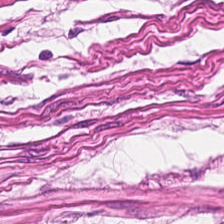H&E stain; FFPE.
Smooth-muscle tissue.
